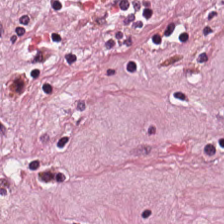H&E. 224×224 pixel tile — {"tissue_type": "desmoplastic stroma"}
